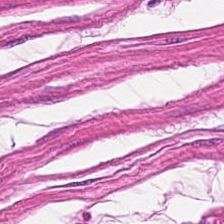WSI patch. H&E. Formalin-fixed paraffin-embedded section — Tissue — smooth muscle.
